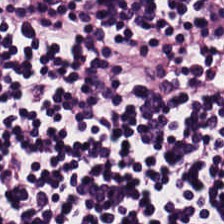Hematoxylin-and-eosin stained section. The predominant tissue is lymphoid infiltrate.
